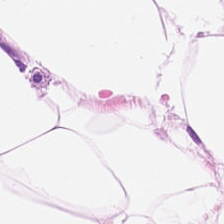Hematoxylin-and-eosin stained section; 0.5 microns per pixel; brightfield microscopy.
This field is adipose tissue.
